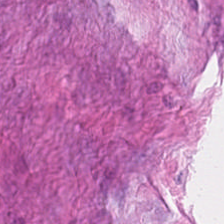Stain: hematoxylin and eosin.
Tissue class: cancer-associated stroma.
